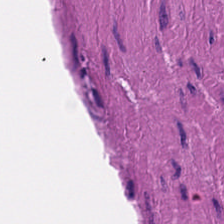Formalin-fixed paraffin-embedded section. 20× equivalent magnification. H&E.
Q: What tissue type is shown here?
A: The field shows smooth muscle.
